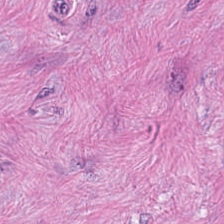WSI patch. Hematoxylin-and-eosin stained section — Predominant tissue — desmoplastic stroma.
